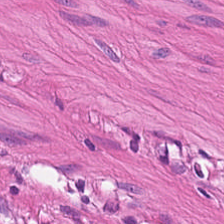Stain: H&E-stained tissue section.
Classification: smooth muscle.
